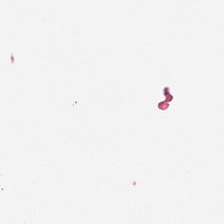Field content: background.
